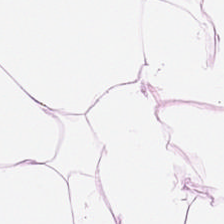Stain: hematoxylin and eosin.
Acquisition: brightfield microscopy.
Predominant tissue: adipose tissue.
